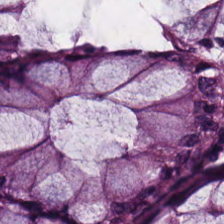FFPE. H&E stain.
{"tissue_type": "normal colon mucosa"}
